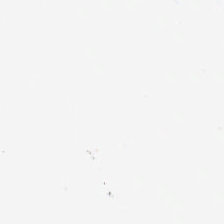H&E-stained tissue section.
Q: What is shown here?
A: The field shows background (no tissue).
